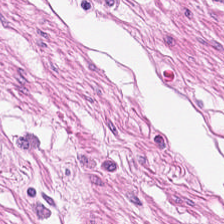{"tissue_type": "smooth muscle"}
